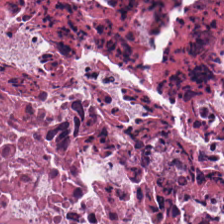Whole-slide-image patch · H&E. Tissue type: necrotic debris.
